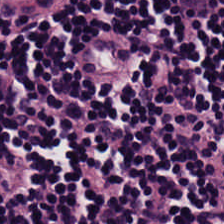224×224 px patch. H&E. 0.5 microns per pixel. This field is lymphocytic infiltrate.
